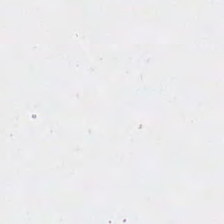FFPE tissue section · 0.5 microns per pixel · H&E-stained tissue section — Q: What does this patch show?
A: Background (no tissue).
